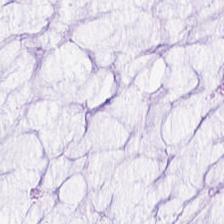Hematoxylin and eosin · 0.5 µm per pixel — Q: What is shown here?
A: Mucin.
